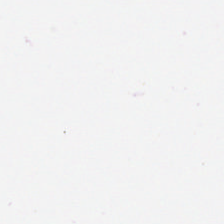Hematoxylin-and-eosin stained section. Background — no tissue in this field.
